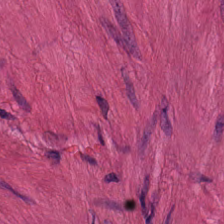Hematoxylin-and-eosin stained section · 224×224 px patch · formalin-fixed paraffin-embedded section.
{"tissue_type": "smooth muscle"}
